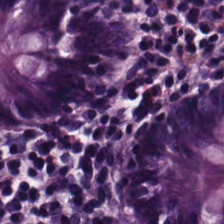224×224 px tile · 0.5 microns per pixel · hematoxylin and eosin — Showing normal colonic mucosa.
